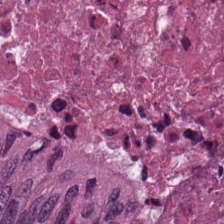Hematoxylin and eosin. This field is debris.
